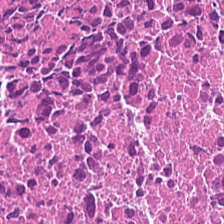Hematoxylin-and-eosin stained section. Q: Identify the tissue.
A: Debris.
